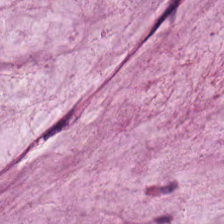The predominant tissue is mucin.
